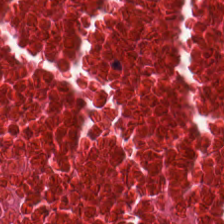0.5 µm/px; H&E stain.
Debris.
